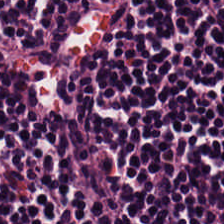Hematoxylin and eosin.
Finding — lymphocyte aggregate.
